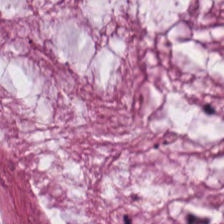H&E stain.
Predominantly mucin.
